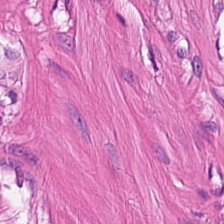Stain: H&E-stained tissue section.
Predominant tissue: smooth muscle.
